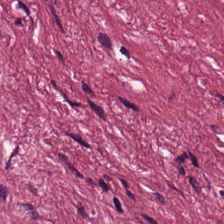H&E-stained tissue section showing tumor stroma.
